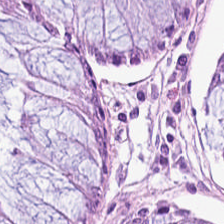Stain: H&E.
Tissue: normal colonic mucosa.
